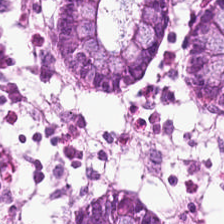H&E-stained tissue section — The classification is non-neoplastic colon mucosa.
